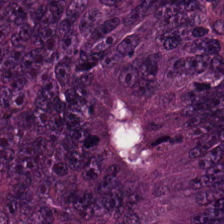Hematoxylin-and-eosin stained section — Predominant tissue = adenocarcinoma.
